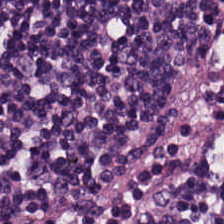0.5 µm/px; hematoxylin and eosin — Showing lymphocytes.
